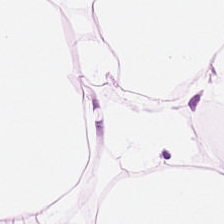H&E stain.
Adipose.
